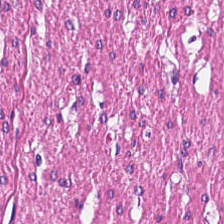H&E-stained tissue section · 224×224 px patch. This patch shows smooth-muscle tissue.
